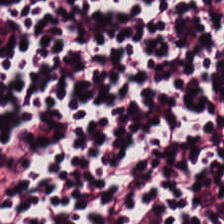H&E-stained tissue section; 20× equivalent magnification; 224×224 pixel tile. Q: What type of tissue is this?
A: It is lymphocytic infiltrate.
